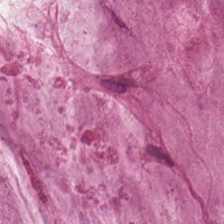Hematoxylin-and-eosin stained section.
Histology — mucin.
